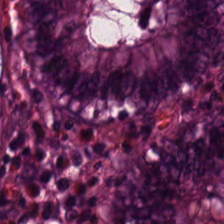Stain: H&E.
Acquisition: whole-slide-image patch.
Tissue: normal colon mucosa.
